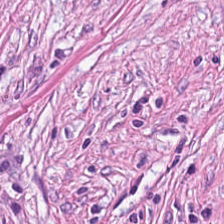H&E-stained tissue section. Tissue type: cancer-associated stroma.
